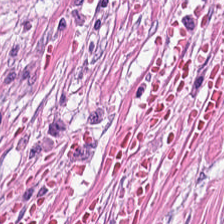Stain: hematoxylin and eosin.
Predominant tissue: tumor-associated stroma.
